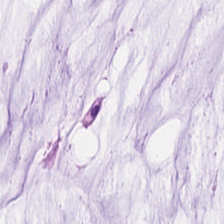0.5 µm per pixel · H&E-stained tissue section — {"tissue_type": "extracellular mucin"}
